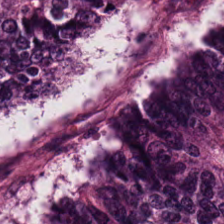The tissue here is malignant epithelium.
